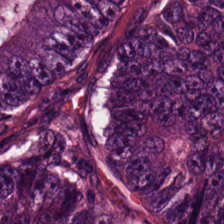224×224 pixel tile. H&E — Tissue type = adenocarcinoma.
